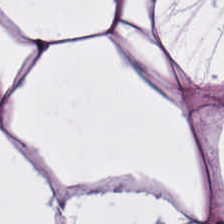Stain: H&E-stained tissue section.
Tissue type: adipocytes.
